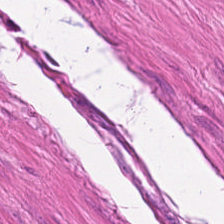H&E-stained tissue section.
Tissue type — muscularis.
